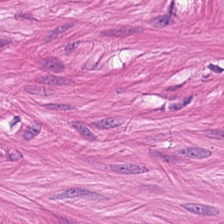Stain: H&E.
Tissue class: muscularis.
